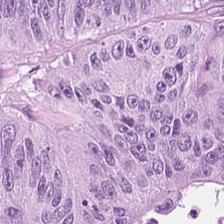Formalin-fixed paraffin-embedded section; H&E stain. Q: What type of tissue is this?
A: This is malignant epithelium.
